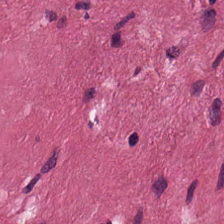FFPE. Hematoxylin-and-eosin stained section. The tissue class is tumor-associated stroma.
